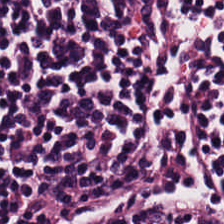Hematoxylin and eosin; 0.5 µm per pixel.
The tissue here is lymphocytic infiltrate.
